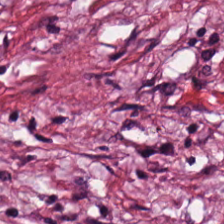Hematoxylin and eosin.
Finding → cancer-associated stroma.
